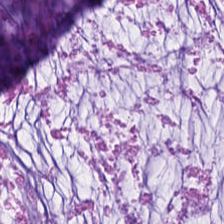H&E; 224×224 px tile; formalin-fixed paraffin-embedded section — Tissue class = mucin.
